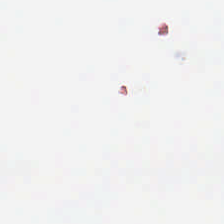WSI patch; H&E-stained tissue section.
Q: What is shown here?
A: This is background (no tissue).
